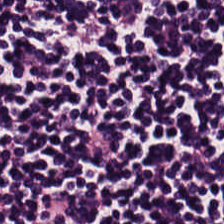Brightfield; hematoxylin and eosin. The predominant tissue is lymphocyte aggregate.
